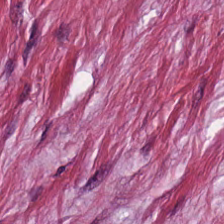The tissue class is desmoplastic stroma.
